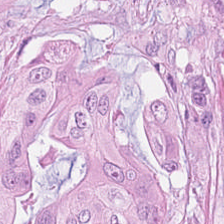Hematoxylin-and-eosin stained section. {"tissue_type": "malignant epithelium"}
